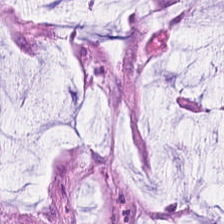H&E-stained tissue section. Q: Identify the tissue.
A: Mucin.
